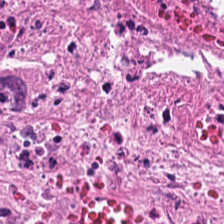H&E-stained tissue section.
Histology — necrotic debris.
